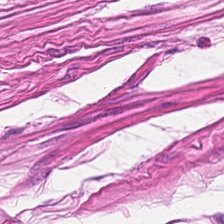Smooth muscle.
